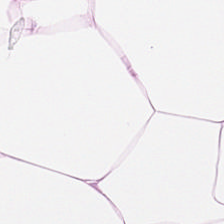Hematoxylin and eosin — {"tissue_type": "fat tissue"}
